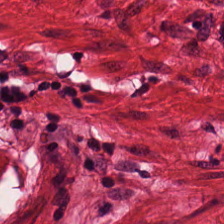H&E-stained tissue section. Finding → muscularis.
